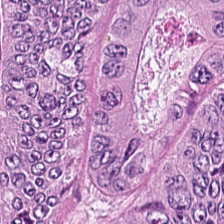H&E-stained tissue section.
The tissue here is colorectal adenocarcinoma.
